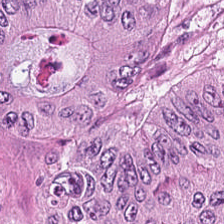224×224 px patch. H&E stain. Formalin-fixed paraffin-embedded section.
This field is malignant epithelium.
